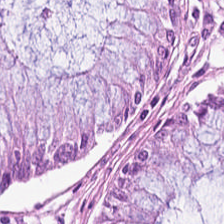{"tissue_type": "non-neoplastic colon mucosa"}
